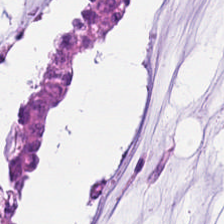Hematoxylin and eosin — Tissue = mucin.
